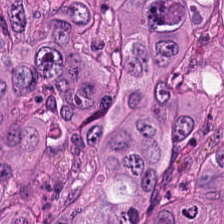Q: What is shown here?
A: Colorectal adenocarcinoma.
